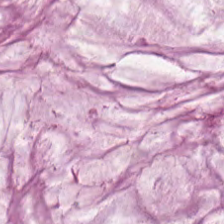The tissue here is mucus.
